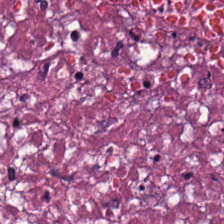Hematoxylin and eosin; 224×224 pixel tile — Histology — debris.
